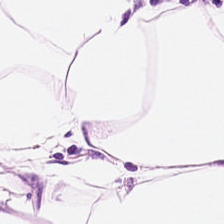Q: Classify this patch.
A: This is fat tissue.
